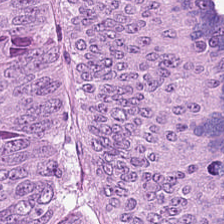FFPE. 224×224 px patch. Hematoxylin-and-eosin stained section — The predominant tissue is colorectal adenocarcinoma.
